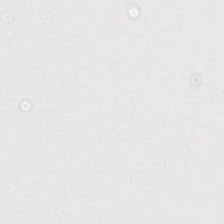Hematoxylin and eosin; FFPE tissue section. Field content: background (no tissue).
